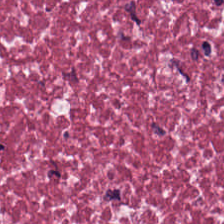Hematoxylin-and-eosin stained section. Tissue — tumor-associated stroma.
